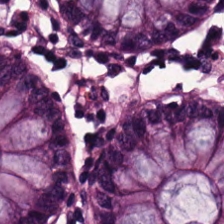Hematoxylin-and-eosin stained section. Q: Classify this patch.
A: The field shows non-neoplastic colon mucosa.
